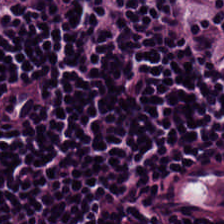Hematoxylin and eosin · 20× equivalent magnification · formalin-fixed paraffin-embedded section.
Q: Classify this patch.
A: This is lymphocyte aggregate.
